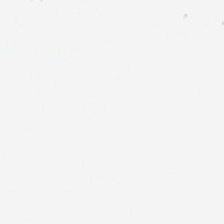H&E-stained tissue section · 224×224 px tile — Q: What is shown in this field?
A: It is background (no tissue).
